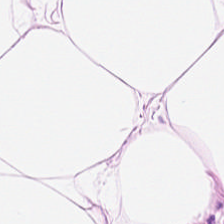224×224 px patch · hematoxylin and eosin. Classification — adipocytes.
